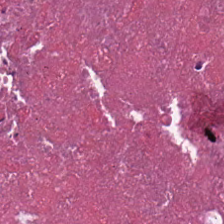H&E-stained tissue section. FFPE.
Tissue type — cellular debris.
